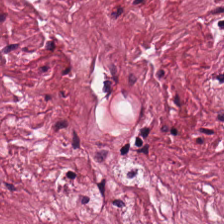Hematoxylin and eosin. 0.5 µm/px. Q: Classify this patch.
A: This is tumor-associated stroma.
